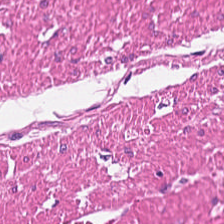H&E stain. Q: What is shown here?
A: The field shows smooth-muscle tissue.
